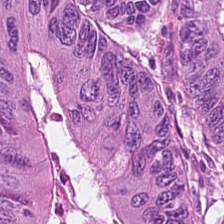H&E stain.
Q: Identify the tissue.
A: This is colorectal adenocarcinoma epithelium.
